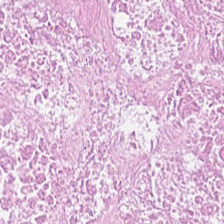H&E-stained tissue section.
This field is cellular debris.
